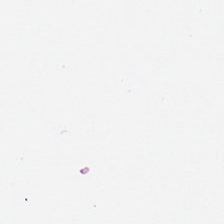Q: Classify this patch.
A: No tissue.
